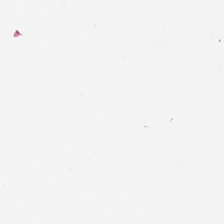Hematoxylin and eosin — Empty background.
